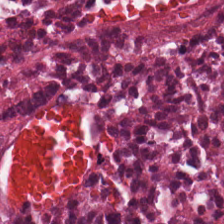H&E-stained tissue section · 0.5 µm per pixel.
Debris.
